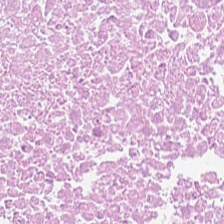H&E.
Predominant tissue = cellular debris.
